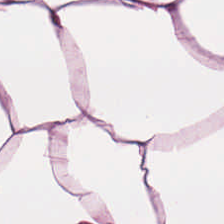H&E patch showing adipocytes.
